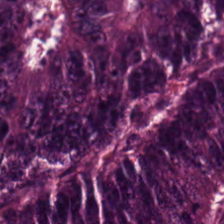Impression → malignant epithelium.
